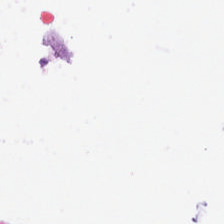Hematoxylin and eosin; 0.5 µm/px; whole-slide-image patch.
Empty field — no tissue.
